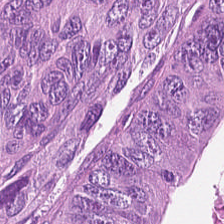Hematoxylin-and-eosin stained section · FFPE.
Predominantly adenocarcinoma.
